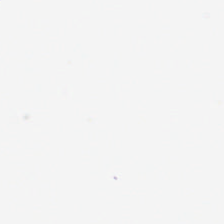H&E-stained tissue section. WSI patch — No tissue present; background only.
